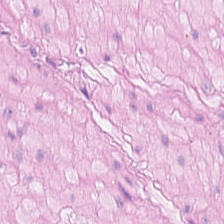Hematoxylin and eosin · FFPE tissue section. Smooth-muscle tissue.
